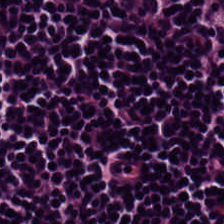224×224 pixel tile; H&E stain — Q: Identify the tissue.
A: This is lymphocyte aggregate.
